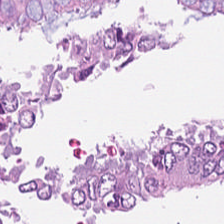Classification — malignant epithelium.
